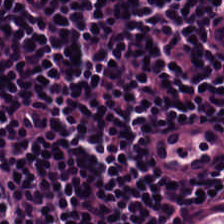H&E; 224×224 pixel tile. This field is lymphocytic infiltrate.
